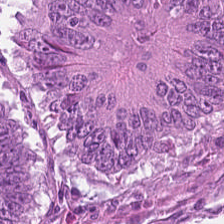The tissue is colorectal adenocarcinoma.
